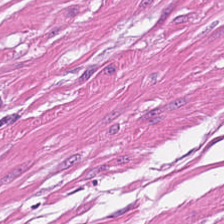Hematoxylin-and-eosin stained section. Q: What is the predominant tissue type?
A: It is smooth muscle.
